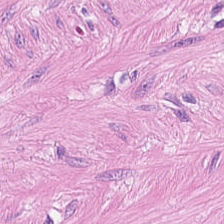Stain: H&E-stained tissue section.
Tile size: 224×224 px patch.
Tissue: muscularis.
